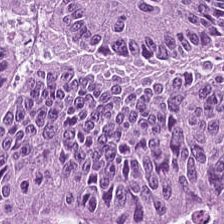Hematoxylin-and-eosin stained section · brightfield microscopy · FFPE.
Tissue: adenocarcinoma.
